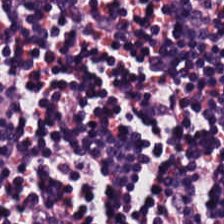Histology → lymphocytes.
